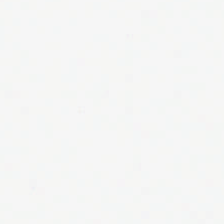Hematoxylin-and-eosin stained section.
Empty field — background.
